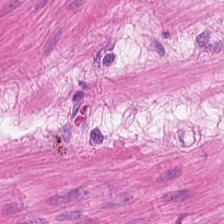Stain: H&E.
Tissue type: smooth-muscle tissue.
